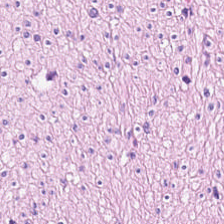Stain: hematoxylin and eosin.
Tissue type: muscularis.
